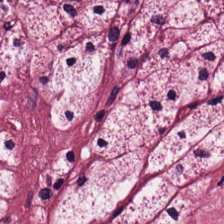Hematoxylin-and-eosin stained section.
Showing cancer-associated stroma.
